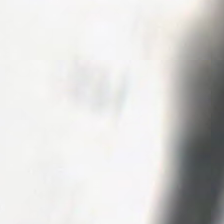Empty background.
